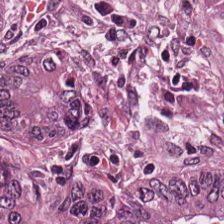Hematoxylin-and-eosin stained section.
Q: What does this patch show?
A: It is tumor epithelium.
